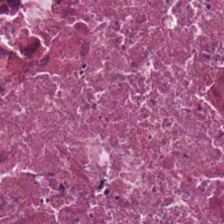H&E stain.
The predominant tissue is debris.
